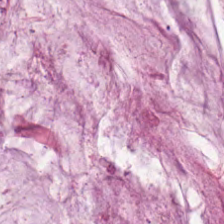H&E. FFPE.
This patch shows mucus.
